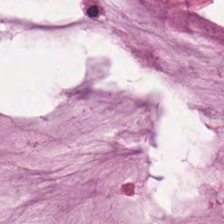H&E-stained tissue section — This field is mucus.
